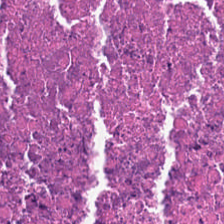H&E stain · 224×224 px patch · formalin-fixed paraffin-embedded section. Q: What type of tissue is this?
A: Cellular debris.
